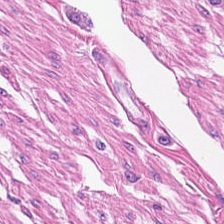Q: What is shown here?
A: The field shows smooth muscle.
